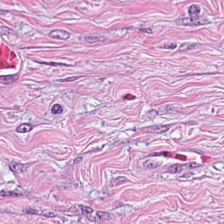Classification = cancer-associated stroma.
